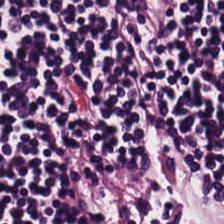Stain: H&E stain.
Resolution: 20× equivalent magnification.
Predominant tissue: lymphocytes.
